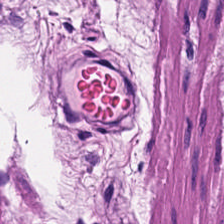Stain: hematoxylin-and-eosin stained section.
Tile size: 224×224 px tile.
Classification: smooth muscle.
